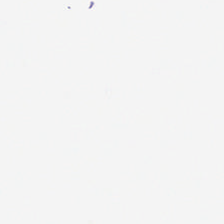Hematoxylin-and-eosin stained section.
Q: Classify this patch.
A: The field shows empty background.
